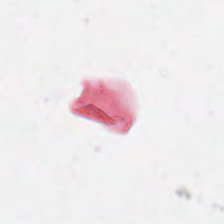H&E-stained tissue section · 0.5 µm per pixel.
Q: What is shown here?
A: This is empty background.
